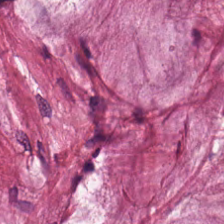Stain: hematoxylin and eosin.
Tissue class: mucin.
